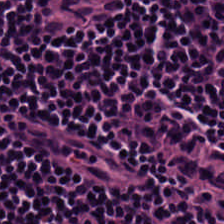224×224 pixel tile · hematoxylin and eosin.
Lymphocyte aggregate.
